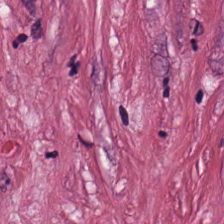H&E-stained tissue section showing desmoplastic stroma.
